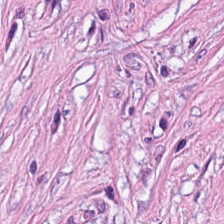H&E.
This field is desmoplastic stroma.
